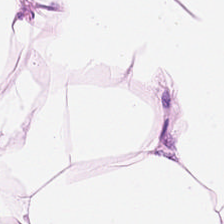H&E-stained tissue section showing adipose.
